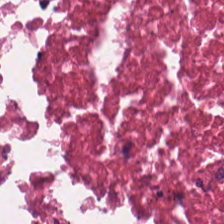224×224 px patch. 20× equivalent magnification. Hematoxylin and eosin.
Q: What is shown here?
A: It is cellular debris.
